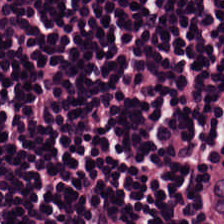Predominant tissue — lymphocytic infiltrate.
